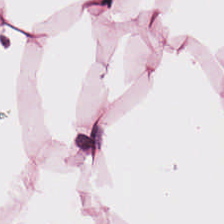FFPE; H&E stain. Classification = adipocytes.
